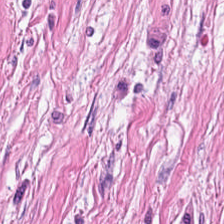Hematoxylin and eosin; WSI patch.
Q: What tissue type is shown here?
A: This is tumor stroma.
